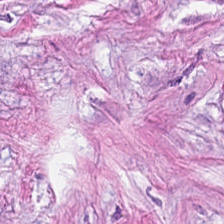H&E; 0.5 µm per pixel. {"tissue_type": "cancer-associated stroma"}
